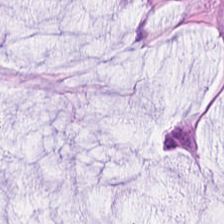H&E. Classification — mucus.
